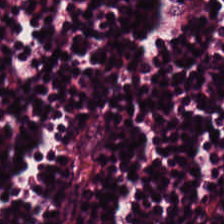H&E. Showing lymphocytic infiltrate.
